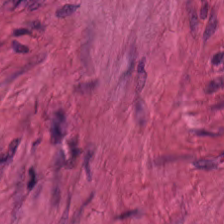FFPE · 0.5 microns per pixel · H&E-stained tissue section. Q: What is shown here?
A: This is smooth muscle.
